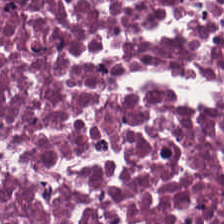Q: What type of tissue is this?
A: Debris.
